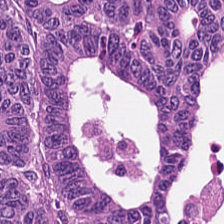H&E stain.
The tissue here is tumor epithelium.
